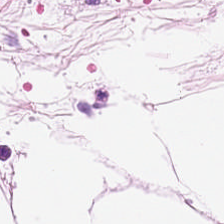Stain: H&E stain.
Acquisition: brightfield.
Tissue type: fat tissue.
